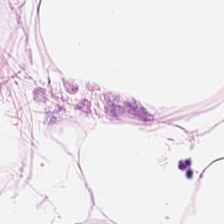Tissue: fat tissue.
